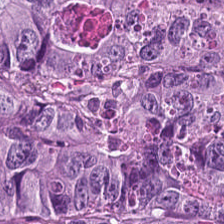0.5 µm per pixel; hematoxylin-and-eosin stained section.
This patch shows adenocarcinoma.
